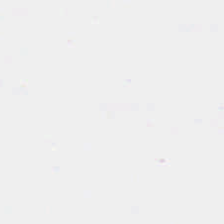FFPE tissue section · hematoxylin-and-eosin stained section. Background — no tissue in this field.
